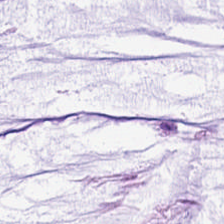Brightfield microscopy · hematoxylin and eosin · FFPE. Q: What tissue is shown?
A: It is mucus.
